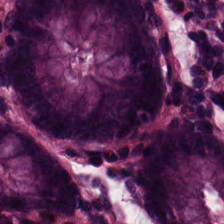224×224 px tile; hematoxylin-and-eosin stained section.
Q: Identify the tissue.
A: Benign colonic mucosa.
